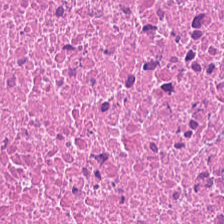H&E stain.
Tissue class: debris.
